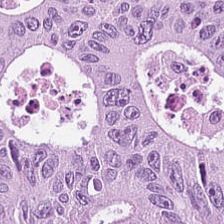{"tissue_type": "colorectal adenocarcinoma epithelium"}
